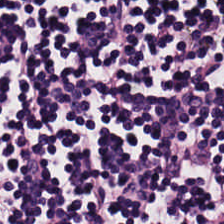Brightfield microscopy. 0.5 µm per pixel. H&E-stained tissue section. Q: Classify this patch.
A: Lymphoid infiltrate.
